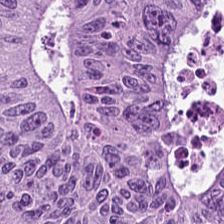224×224 px tile · FFPE tissue section · hematoxylin and eosin — The tissue here is tumor epithelium.
